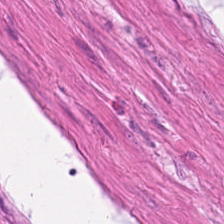H&E-stained tissue section — Showing smooth muscle.
